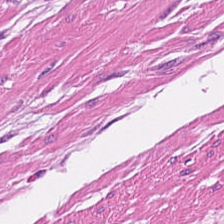Stain: H&E.
Tissue type: smooth-muscle tissue.
